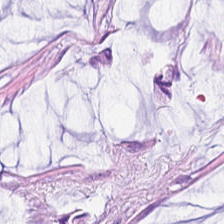Hematoxylin and eosin. Tissue type = mucus.
